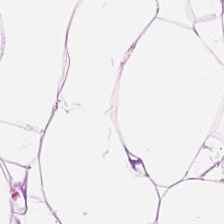Stain: H&E.
Tissue class: fat tissue.
